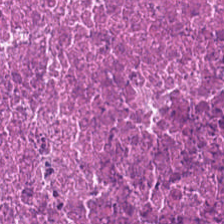H&E-stained tissue section · 0.5 microns per pixel. Q: What is shown here?
A: It is cellular debris.
